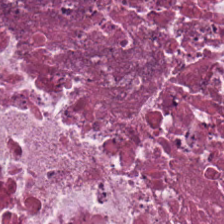{"tissue_type": "cellular debris"}
